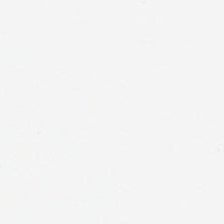20× equivalent magnification. H&E stain.
Classification: no tissue.
